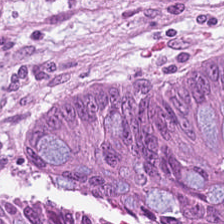H&E. 224×224 px patch. Formalin-fixed paraffin-embedded section. Tissue class: adenocarcinoma.
